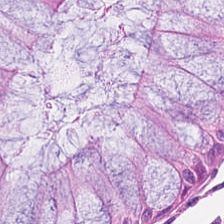H&E — Showing normal colonic mucosa.
